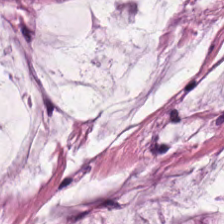0.5 µm per pixel; hematoxylin and eosin; 224×224 pixel tile — The predominant tissue is extracellular mucin.
